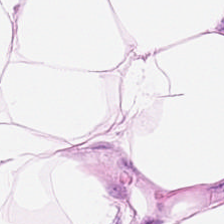H&E. 0.5 µm/px. Brightfield.
{"tissue_type": "adipocytes"}
